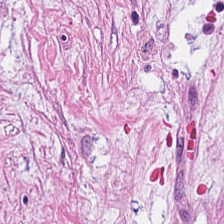Tissue: desmoplastic stroma.
